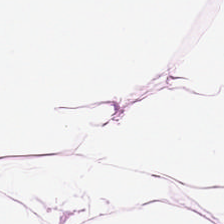H&E-stained tissue section. Tissue: fat tissue.
